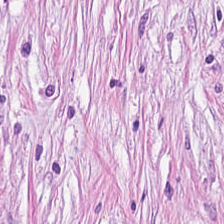Hematoxylin and eosin.
The tissue class is tumor stroma.
